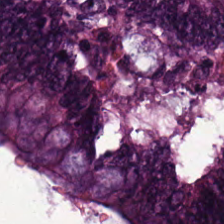{"tissue_type": "malignant epithelium"}
